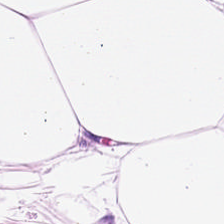0.5 microns per pixel · hematoxylin-and-eosin stained section. Impression → fat tissue.
